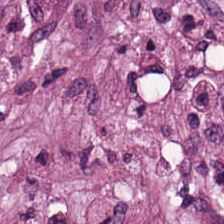Hematoxylin-and-eosin section: tumor stroma.
